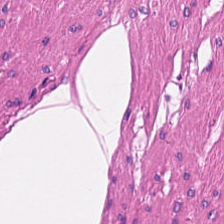Predominant tissue: smooth muscle.
